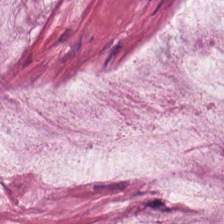Stain: hematoxylin-and-eosin stained section.
Preparation: FFPE tissue section.
Tile size: 224×224 px patch.
Predominant tissue: mucin.
